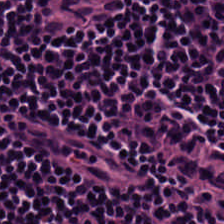Predominant tissue — lymphoid infiltrate.
